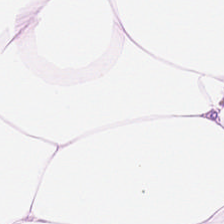H&E.
Q: Identify the tissue.
A: This is adipose.
